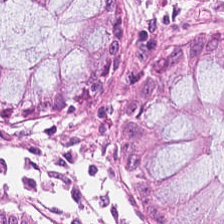Hematoxylin and eosin — The tissue here is non-neoplastic colon mucosa.
